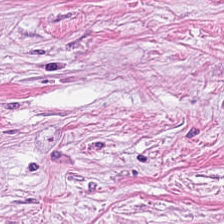Stain: hematoxylin and eosin.
Tissue class: desmoplastic stroma.
